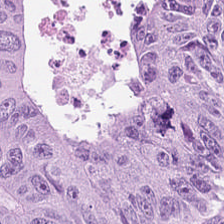H&E. The predominant tissue is colorectal adenocarcinoma.
